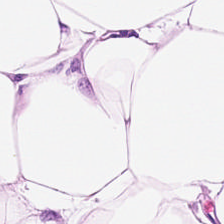Q: Identify the tissue.
A: Adipose tissue.
